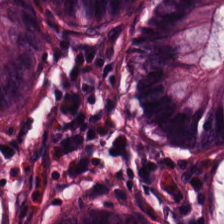Stain: H&E-stained tissue section.
Tissue class: benign colonic mucosa.
